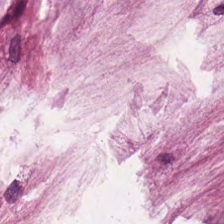The predominant tissue is extracellular mucin.
